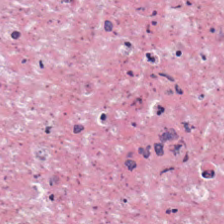Predominantly necrotic debris.
